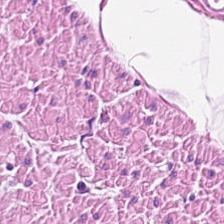Predominantly smooth-muscle tissue.
